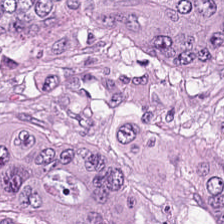Hematoxylin-and-eosin stained section · 20× equivalent magnification.
Q: What tissue type is shown here?
A: Malignant epithelium.
